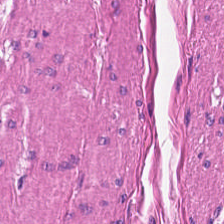H&E-stained tissue section — Showing smooth-muscle tissue.
